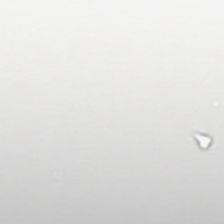H&E — Background.
